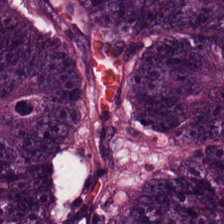Hematoxylin and eosin.
Histology → tumor epithelium.
